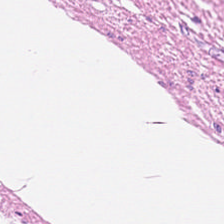H&E stain · 0.5 µm per pixel · brightfield microscopy. This field is smooth muscle.
